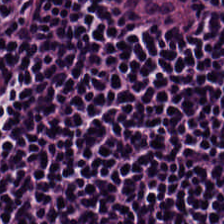Hematoxylin and eosin · 224×224 pixel tile. Q: What tissue type is shown here?
A: Lymphocyte aggregate.
